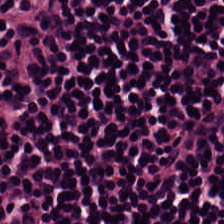The predominant tissue is lymphocyte aggregate.
